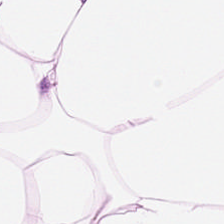This patch shows adipose tissue.
